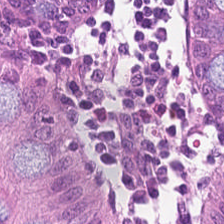Hematoxylin and eosin. Classification: normal colon mucosa.
